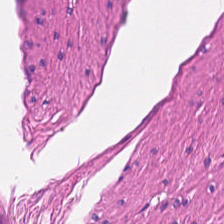H&E stain — The predominant tissue is smooth muscle.
